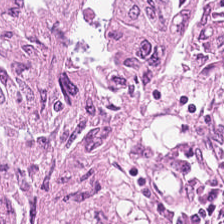Stain: H&E-stained tissue section.
Resolution: 0.5 µm/px.
Predominant tissue: tumor epithelium.
